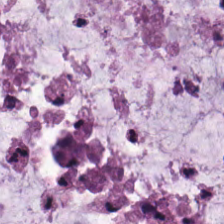0.5 µm per pixel; H&E stain. This patch shows mucin.
